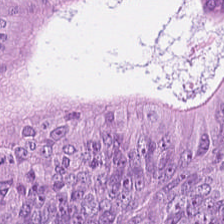H&E-stained tissue section. Q: What tissue is shown?
A: This is adenocarcinoma.
